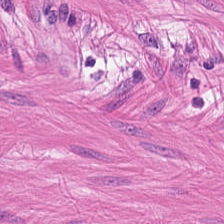The classification is smooth muscle.
